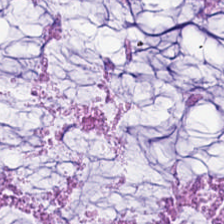Formalin-fixed paraffin-embedded section; H&E. The predominant tissue is mucin.
